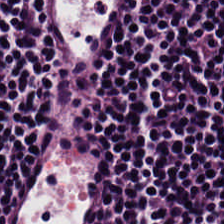FFPE tissue section; hematoxylin-and-eosin stained section. Tissue type — lymphocyte aggregate.
